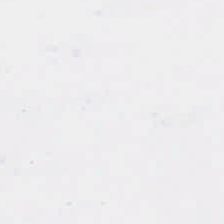H&E-stained tissue section. Histology → no tissue.
